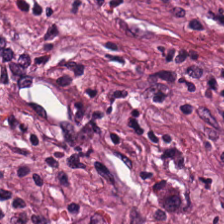224×224 px patch; hematoxylin and eosin.
The predominant tissue is tumor-associated stroma.
